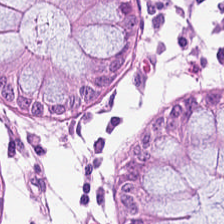H&E-stained section; the field shows normal colonic mucosa.
